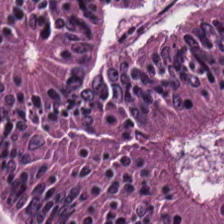{"tissue_type": "colorectal adenocarcinoma epithelium"}
